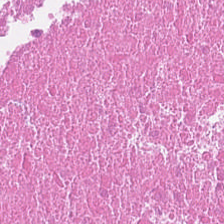H&E — Showing necrotic debris.
